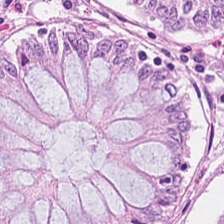Predominant tissue — benign colonic mucosa.
